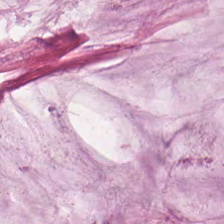Hematoxylin-and-eosin stained section.
{"tissue_type": "mucin"}
